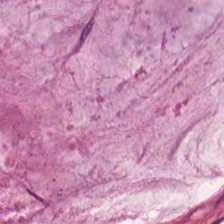Stain: H&E.
Tissue class: extracellular mucin.
